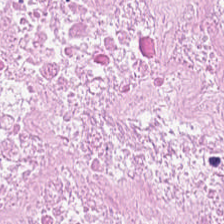Hematoxylin-and-eosin stained section · brightfield · 224×224 pixel tile.
Tissue type — debris.
